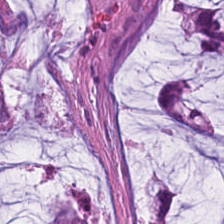Hematoxylin-and-eosin stained section; 0.5 microns per pixel. Q: What tissue type is shown here?
A: The field shows mucus.
